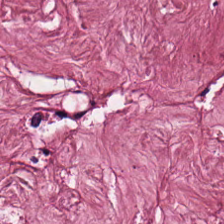H&E-stained tissue section. The tissue here is tumor stroma.
